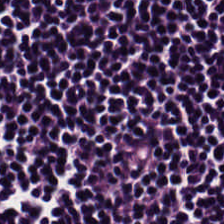Stain: hematoxylin-and-eosin stained section.
Tile size: 224×224 px patch.
Tissue type: lymphoid infiltrate.
